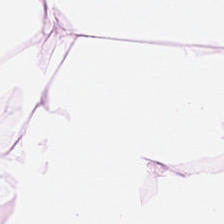Whole-slide-image patch; 224×224 px tile; hematoxylin-and-eosin stained section.
This field is adipose tissue.
